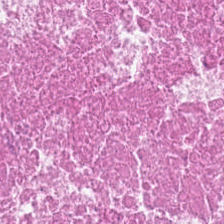Stain: hematoxylin-and-eosin stained section.
Preparation: FFPE.
Acquisition: whole-slide-image patch.
Tissue: debris.
